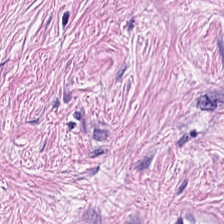H&E-stained tissue section. Q: Classify this patch.
A: Cancer-associated stroma.
